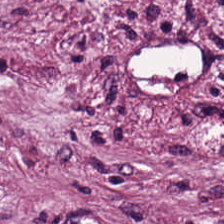H&E stain — Tissue class — desmoplastic stroma.
